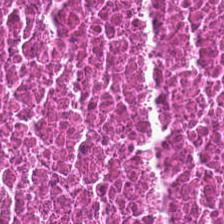H&E. Finding → necrotic debris.
